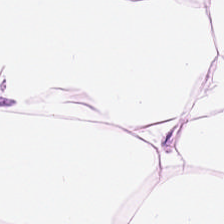Hematoxylin-and-eosin stained section; 224×224 px tile. Q: What tissue is shown?
A: This is adipose.
